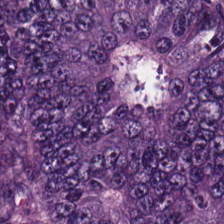H&E.
Q: Classify this patch.
A: It is colorectal adenocarcinoma.
